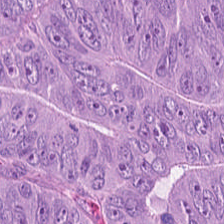Hematoxylin and eosin; 0.5 µm per pixel.
Classification: adenocarcinoma.
